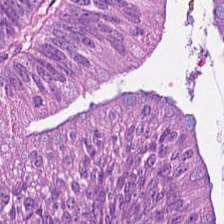H&E — This patch shows adenocarcinoma.
